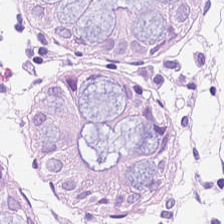20× equivalent magnification. FFPE tissue section. H&E.
Impression — non-neoplastic colon mucosa.
